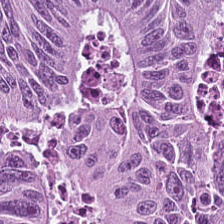Formalin-fixed paraffin-embedded section; H&E stain — The tissue here is adenocarcinoma.
